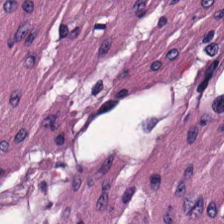Hematoxylin and eosin; WSI patch — {"tissue_type": "smooth-muscle tissue"}
